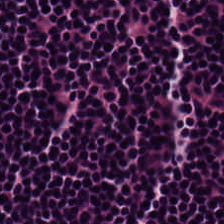224×224 px patch · H&E stain.
Showing lymphocytic infiltrate.
